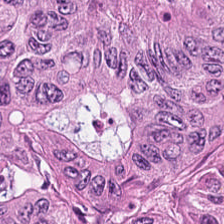Hematoxylin-and-eosin stained section.
Tissue class: colorectal adenocarcinoma epithelium.
